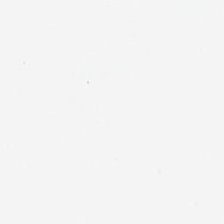224×224 px patch. H&E-stained tissue section. This patch shows no tissue.
